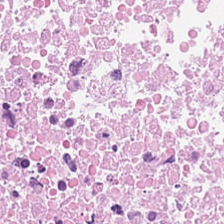Q: Classify this patch.
A: It is debris.
